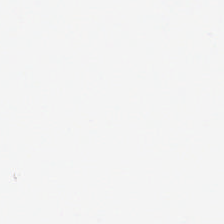224×224 px patch; H&E — Classification = empty background.
